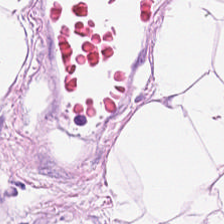Hematoxylin-and-eosin stained section. Predominantly fat tissue.
